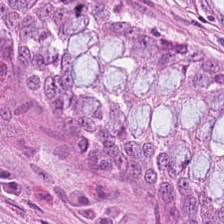H&E stain — Q: What is the predominant tissue type?
A: This is normal colon mucosa.
